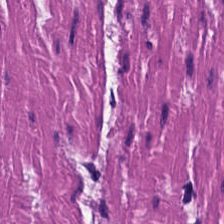H&E — Finding → smooth muscle.
